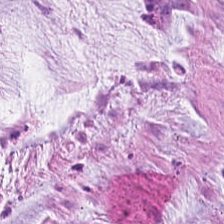224×224 pixel tile. H&E-stained tissue section — Predominant tissue — extracellular mucin.
